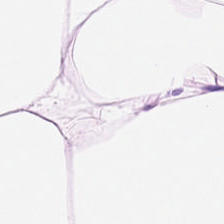Stain: H&E-stained tissue section.
Classification: fat tissue.
